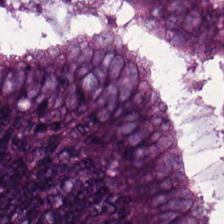Hematoxylin-and-eosin stained section — This patch shows colorectal adenocarcinoma.
